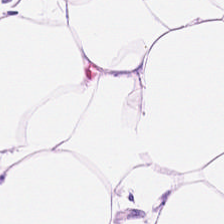Tissue class: fat tissue.
